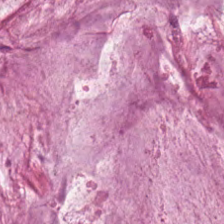20× equivalent magnification · hematoxylin and eosin.
This patch shows mucus.
